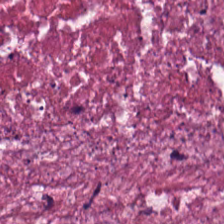Hematoxylin and eosin · 20× equivalent magnification — Q: Identify the tissue.
A: Debris.
